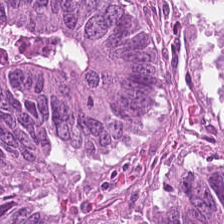H&E — colorectal adenocarcinoma epithelium.
